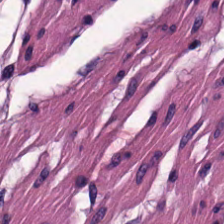H&E-stained tissue section. Classification = muscularis.
